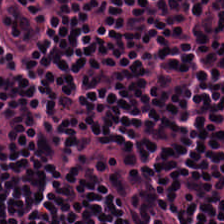H&E stain. Predominant tissue — lymphocytes.
